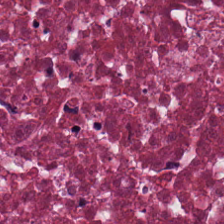224×224 pixel tile; whole-slide-image patch; H&E.
Tissue class — debris.
